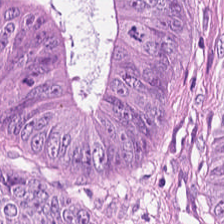{"tissue_type": "colorectal adenocarcinoma epithelium"}
